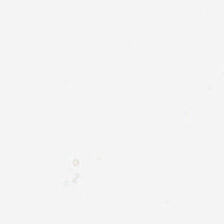Histology → empty background.
